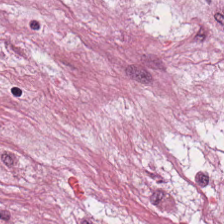H&E — tumor-associated stroma.
